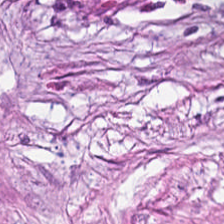H&E.
Q: What is shown in this field?
A: This is desmoplastic stroma.
